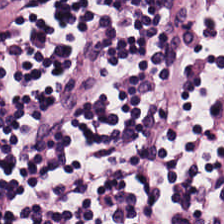224×224 px tile. Hematoxylin and eosin — Q: What is the predominant tissue type?
A: The field shows lymphocytes.
